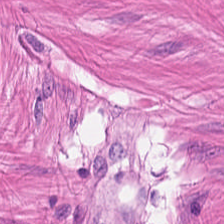H&E-stained tissue section.
This field is smooth-muscle tissue.
